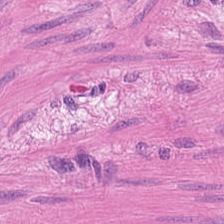H&E-stained tissue section — Impression → smooth-muscle tissue.
